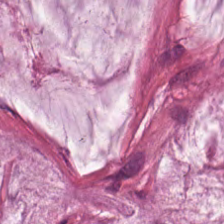Whole-slide-image patch; 224×224 px tile; H&E-stained tissue section — Tissue class = mucin.
